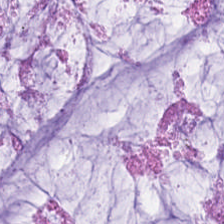Histology → mucin.
